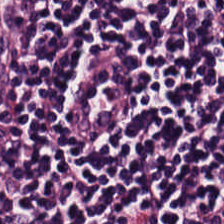Classification: lymphoid infiltrate.
